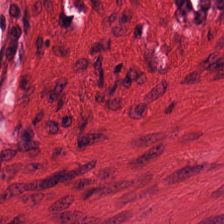FFPE tissue section; WSI patch; H&E.
This patch shows smooth-muscle tissue.
